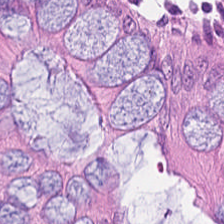H&E stain. 224×224 pixel tile.
This field is normal colonic mucosa.
